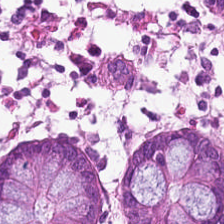H&E stain · 20× equivalent magnification.
Normal colon mucosa.
